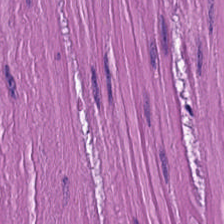Hematoxylin-and-eosin stained section; whole-slide-image patch. This field is smooth-muscle tissue.
